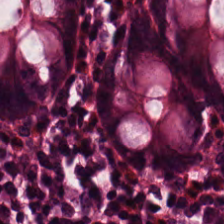Q: What tissue type is shown here?
A: This is benign colonic mucosa.
